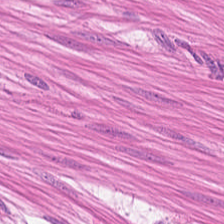224×224 px patch; H&E.
{"tissue_type": "muscularis"}
